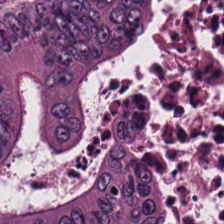H&E — Tissue class: colorectal adenocarcinoma epithelium.
